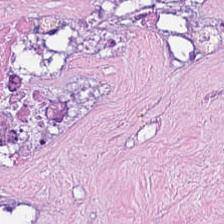H&E-stained tissue section; 0.5 µm/px.
Classification = cellular debris.
